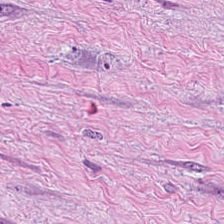224×224 px patch. H&E-stained tissue section. Q: What tissue type is shown here?
A: The field shows desmoplastic stroma.
